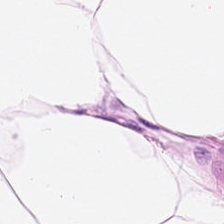H&E-stained tissue section; whole-slide-image patch; 0.5 µm per pixel. Q: What tissue is shown?
A: Adipose tissue.
